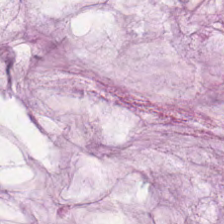H&E stain. The predominant tissue is mucin.
